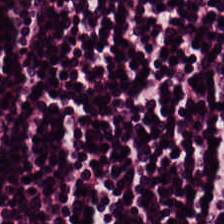Lymphocytic infiltrate.
